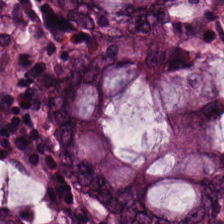Hematoxylin-and-eosin stained section.
The tissue type is benign colonic mucosa.
